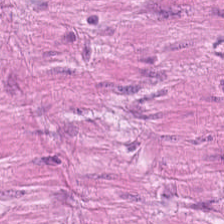Hematoxylin and eosin. The tissue here is smooth muscle.
